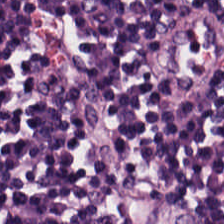Formalin-fixed paraffin-embedded section; H&E-stained tissue section — Finding — lymphocytic infiltrate.
